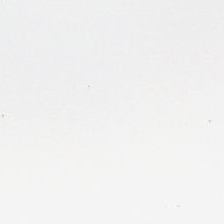Empty field — background.
